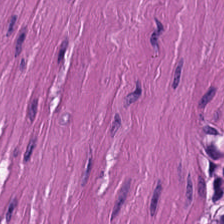Hematoxylin-and-eosin stained section; FFPE. Q: What tissue is shown?
A: Smooth muscle.
